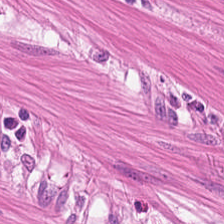Brightfield microscopy. Hematoxylin-and-eosin stained section. {"tissue_type": "smooth-muscle tissue"}
